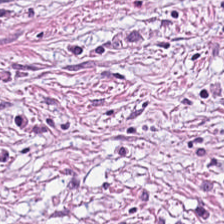H&E stain; 0.5 µm per pixel. This field is desmoplastic stroma.
